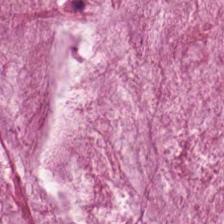Whole-slide-image patch. 0.5 microns per pixel. H&E stain — Predominant tissue — extracellular mucin.
